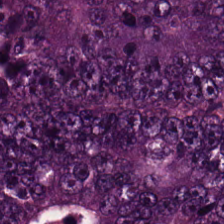H&E stain. Histology — adenocarcinoma.
